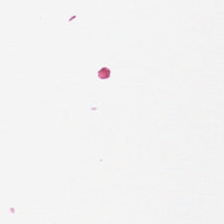H&E stain — Q: What is shown in this field?
A: The field shows empty background.
